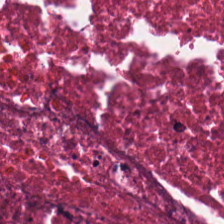H&E.
Cellular debris.
